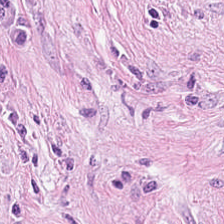Stain: hematoxylin-and-eosin stained section.
Tissue class: cancer-associated stroma.
